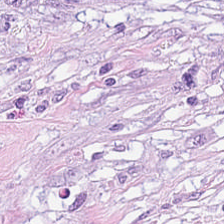Stain: H&E-stained tissue section.
Tile size: 224×224 pixel tile.
Tissue type: mucin.
